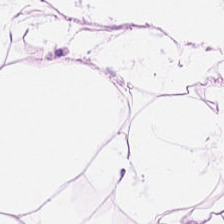Stain: hematoxylin-and-eosin stained section.
Resolution: 0.5 microns per pixel.
Tissue type: adipose tissue.
